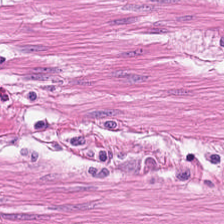Brightfield microscopy. Hematoxylin and eosin.
{"tissue_type": "smooth-muscle tissue"}
